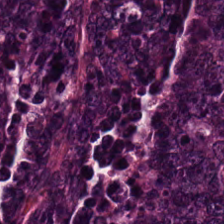Hematoxylin-and-eosin stained section — Tissue class = colorectal adenocarcinoma.
